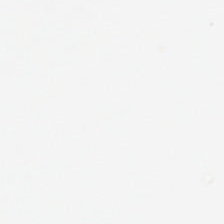Brightfield microscopy. Hematoxylin and eosin. 0.5 microns per pixel.
Background — no tissue in this field.
